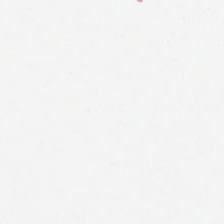H&E stain.
{"content": "no tissue"}
